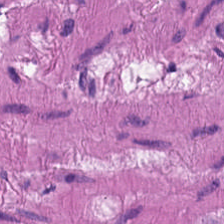Stain: hematoxylin and eosin.
Preparation: FFPE tissue section.
Tissue class: smooth-muscle tissue.
